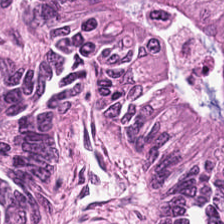H&E stain.
The tissue is colorectal adenocarcinoma epithelium.
